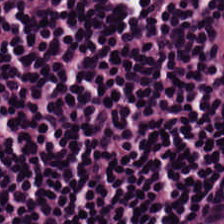Q: What tissue type is shown here?
A: This is lymphocyte aggregate.
